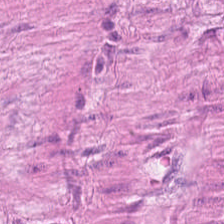H&E-stained tissue section — Tissue class = muscularis.
